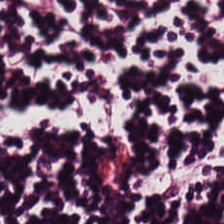Stain: hematoxylin-and-eosin stained section.
Tile size: 224×224 pixel tile.
Tissue: lymphocytic infiltrate.
